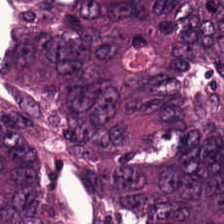The tissue class is colorectal adenocarcinoma.
